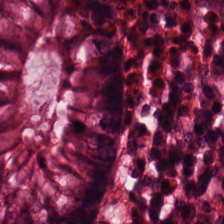Predominantly non-neoplastic colon mucosa.
